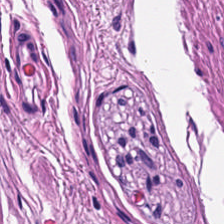Muscularis.
